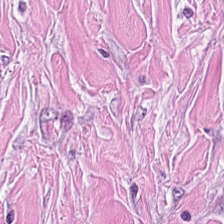Hematoxylin-and-eosin stained section — Q: Identify the tissue.
A: It is tumor stroma.
